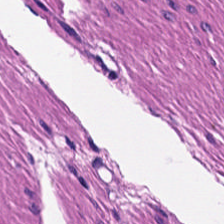Impression → muscularis.
